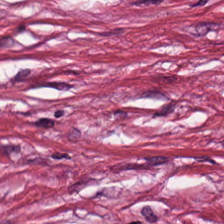H&E-stained section; the field shows tumor stroma.
